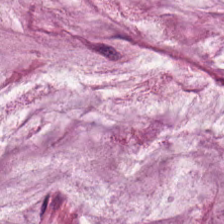This field is mucus.
